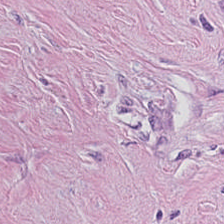H&E-stained tissue section. Tumor-associated stroma.
